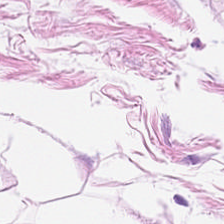This patch shows adipose.
